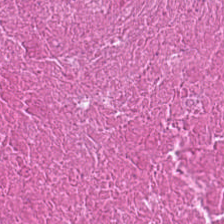This patch shows debris.
